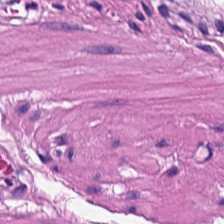Classification: muscularis.
